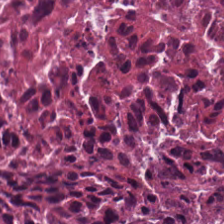H&E patch showing necrotic debris.
